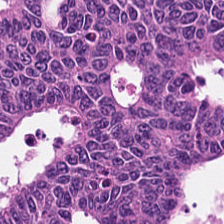H&E. Tissue class = colorectal adenocarcinoma.
